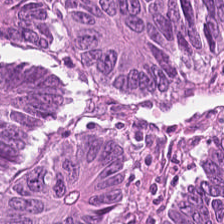{"tissue_type": "malignant epithelium"}
